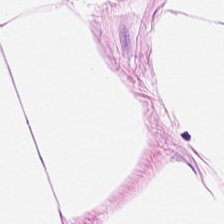Q: What is shown here?
A: It is adipose tissue.
